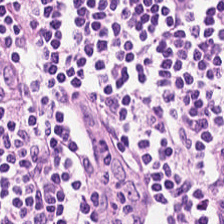Lymphocytic infiltrate.
